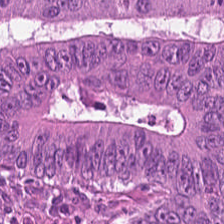Stain: hematoxylin and eosin.
Resolution: 0.5 µm per pixel.
Acquisition: WSI patch.
Tissue type: colorectal adenocarcinoma epithelium.
